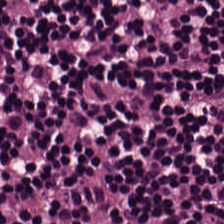20× equivalent magnification; hematoxylin and eosin. Showing lymphocyte aggregate.
